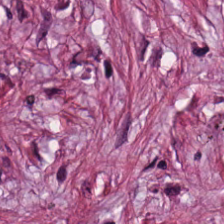Predominant tissue — tumor-associated stroma.
